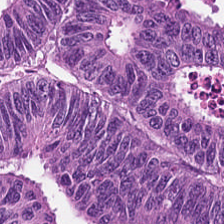Hematoxylin-and-eosin stained section; 224×224 px patch.
{"tissue_type": "colorectal adenocarcinoma"}
